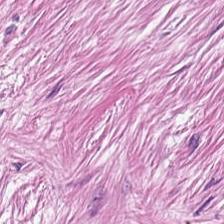H&E; 0.5 µm/px; brightfield microscopy — Q: What is shown here?
A: The field shows tumor-associated stroma.
